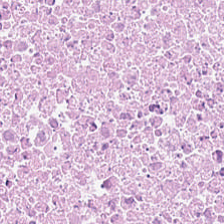The predominant tissue is necrotic debris.
